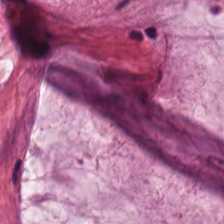H&E-stained tissue section.
{"tissue_type": "extracellular mucin"}
